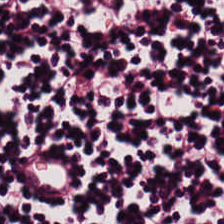Brightfield; H&E.
Finding — lymphocytic infiltrate.
